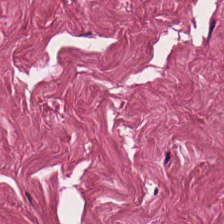224×224 pixel tile · formalin-fixed paraffin-embedded section · H&E — Q: What is shown here?
A: This is tumor stroma.
